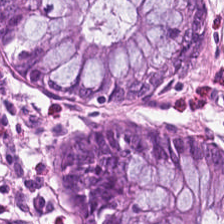Predominant tissue = benign colonic mucosa.
